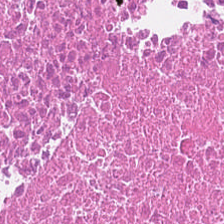FFPE tissue section · 0.5 microns per pixel · H&E. Predominant tissue = necrotic debris.
